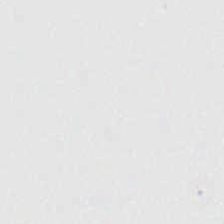H&E stain.
This patch shows no tissue.
